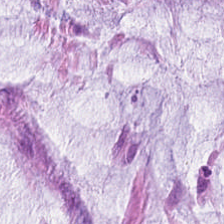Q: Classify this patch.
A: It is mucin.
